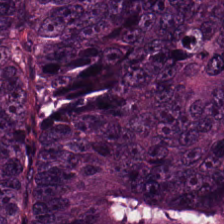Brightfield microscopy; hematoxylin and eosin; 224×224 px patch. Predominantly colorectal adenocarcinoma.
